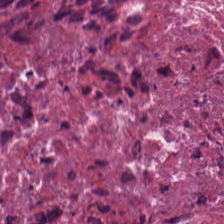Q: What is the predominant tissue type?
A: It is cellular debris.
